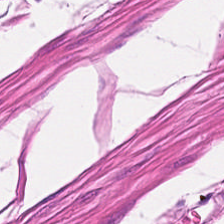Histology — smooth muscle.
